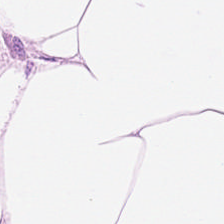H&E-stained tissue section · brightfield · 0.5 microns per pixel. This patch shows adipose tissue.
